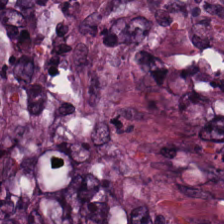Stain: hematoxylin and eosin.
Classification: malignant epithelium.
